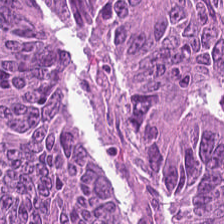0.5 µm/px · hematoxylin-and-eosin stained section.
Histology — colorectal adenocarcinoma epithelium.
